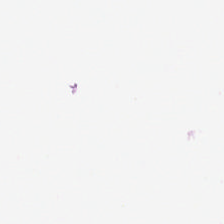Stain: H&E-stained tissue section.
Acquisition: whole-slide-image patch.
Field content: background (no tissue).
